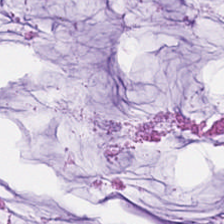Q: Identify the tissue.
A: Mucin.
